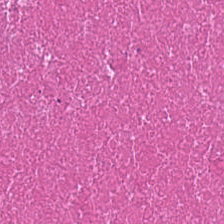H&E stain. Showing necrotic debris.
